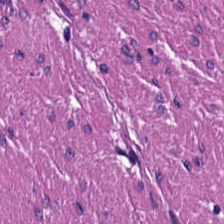Q: What is shown in this field?
A: Smooth-muscle tissue.
